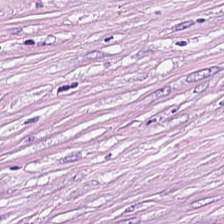H&E stain. This field is tumor-associated stroma.
